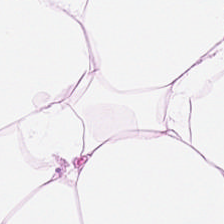Hematoxylin and eosin. The predominant tissue is adipose tissue.
